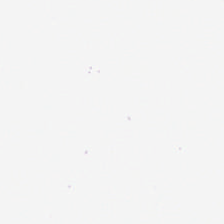Hematoxylin and eosin · 0.5 µm/px. The content is background (no tissue).
